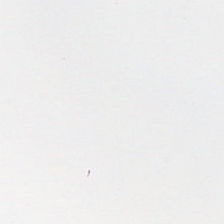Background — no tissue in this field.
